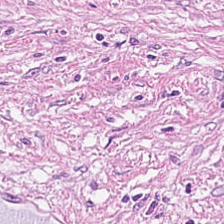H&E — cancer-associated stroma.
